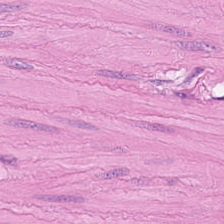H&E; 20× equivalent magnification. Smooth-muscle tissue.
